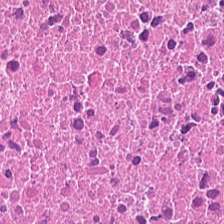H&E-stained tissue section.
Q: What type of tissue is this?
A: This is cellular debris.
